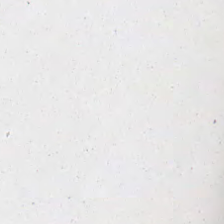Impression → empty background.
